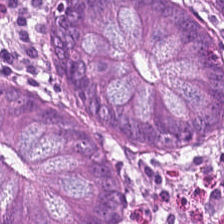H&E patch showing normal colon mucosa.
